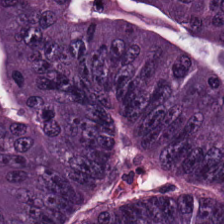H&E stain; 224×224 px tile. Q: Classify this patch.
A: It is adenocarcinoma.
